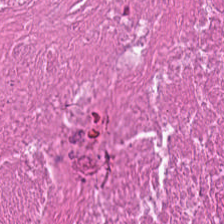The classification is necrotic debris.
